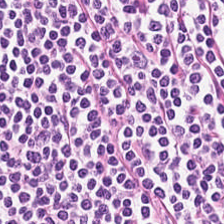H&E-stained tissue section. WSI patch. FFPE tissue section — Tissue class: lymphocytic infiltrate.
